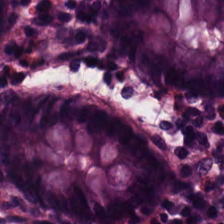Hematoxylin and eosin — Finding → benign colonic mucosa.
